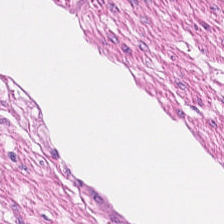H&E stain. Histology → muscularis.
